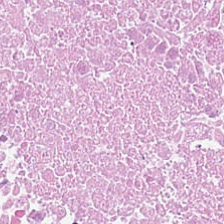Predominant tissue = cellular debris.
